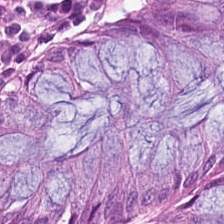H&E stain. FFPE tissue section. 20× equivalent magnification. Q: What type of tissue is this?
A: This is non-neoplastic colon mucosa.
